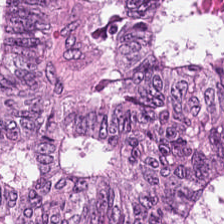H&E-stained tissue section; 0.5 µm per pixel — Q: What does this patch show?
A: This is tumor epithelium.
